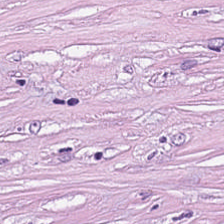H&E. The tissue here is cancer-associated stroma.
